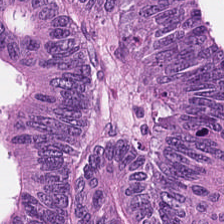H&E-stained tissue section. The tissue here is malignant epithelium.
